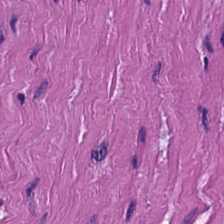Classification = smooth muscle.
